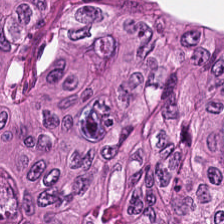H&E stain.
Q: What tissue is shown?
A: This is tumor epithelium.
